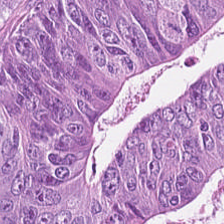Whole-slide-image patch · hematoxylin-and-eosin stained section.
Histology — tumor epithelium.
